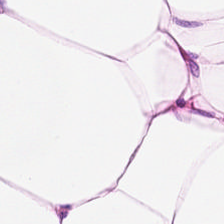Stain: hematoxylin and eosin.
Tissue class: fat tissue.
